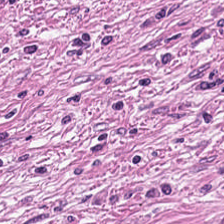H&E stain. 224×224 px patch. The classification is tumor-associated stroma.
